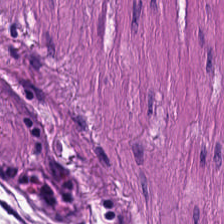Q: What tissue is shown?
A: This is smooth muscle.
